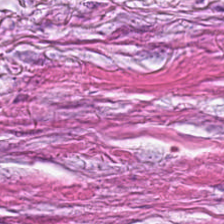H&E-stained tissue section. FFPE tissue section. This field is cancer-associated stroma.
